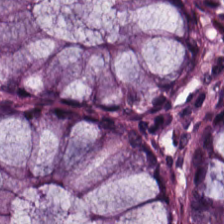20× equivalent magnification · 224×224 px tile · hematoxylin and eosin.
This patch shows normal colonic mucosa.
